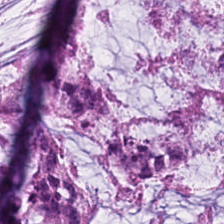H&E — extracellular mucin.
